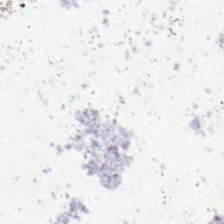Q: What is shown here?
A: This is no tissue.
